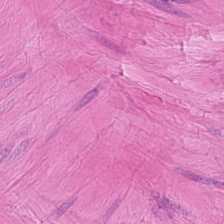Hematoxylin-and-eosin stained section.
Q: What is the predominant tissue type?
A: It is smooth-muscle tissue.
